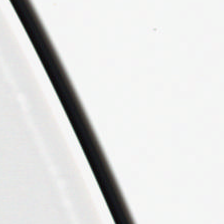This patch shows background (no tissue).
